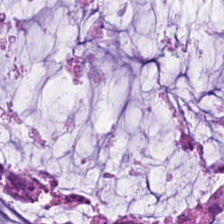0.5 µm/px. Hematoxylin-and-eosin stained section. WSI patch. Q: What does this patch show?
A: The field shows mucin.
